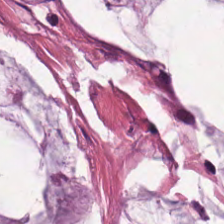H&E-stained tissue section.
Predominantly mucus.
